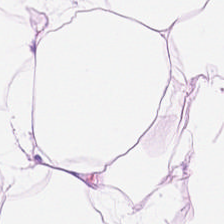Showing adipocytes.
